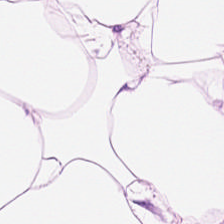H&E-stained tissue section · formalin-fixed paraffin-embedded section. Q: Classify this patch.
A: Adipose.
